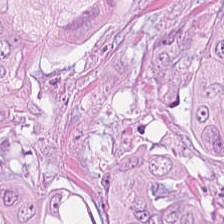Hematoxylin-and-eosin stained section.
The tissue class is tumor epithelium.
